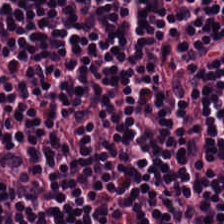224×224 px patch. FFPE tissue section. Hematoxylin-and-eosin stained section — The tissue here is lymphoid infiltrate.
